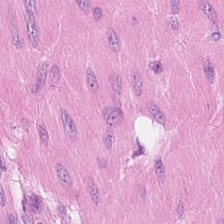Hematoxylin-and-eosin section: smooth muscle.
